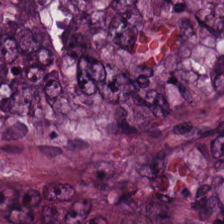H&E — colorectal adenocarcinoma.
